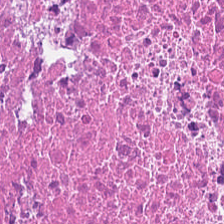0.5 µm per pixel; hematoxylin and eosin; brightfield microscopy — Tissue class = necrotic debris.
